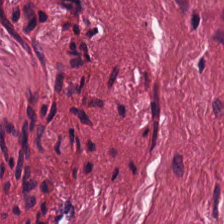FFPE tissue section; 224×224 px patch; hematoxylin-and-eosin stained section.
Tumor-associated stroma.
